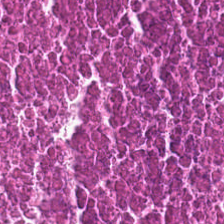Stain: hematoxylin and eosin.
Preparation: FFPE tissue section.
Tile size: 224×224 pixel tile.
Tissue class: necrotic debris.
